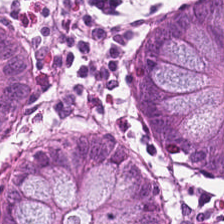Hematoxylin-and-eosin section: benign colonic mucosa.
